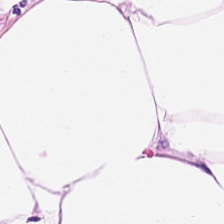FFPE tissue section; hematoxylin-and-eosin stained section. Q: Classify this patch.
A: The field shows fat tissue.
